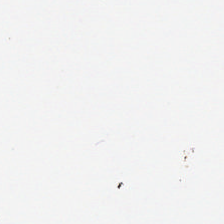Q: What does this patch show?
A: This is background.
